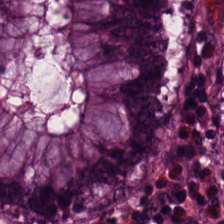Q: Identify the tissue.
A: It is normal colonic mucosa.
